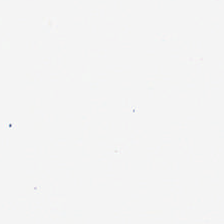Hematoxylin and eosin · whole-slide-image patch · 224×224 px patch. Content — background.
